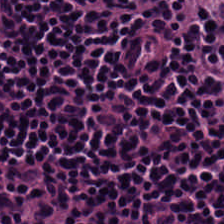H&E-stained tissue section.
Q: What is the predominant tissue type?
A: Lymphocyte aggregate.
